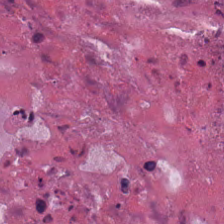Q: What tissue type is shown here?
A: This is debris.
